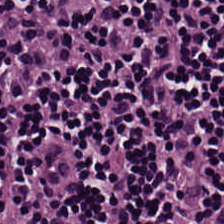0.5 microns per pixel · H&E · 224×224 px tile.
The tissue here is lymphocyte aggregate.
